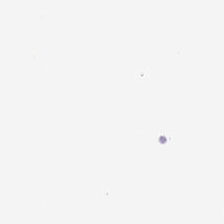Empty field — background.
